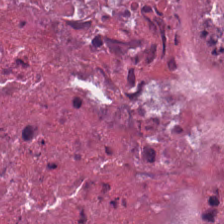H&E stain — Q: What type of tissue is this?
A: The field shows debris.
